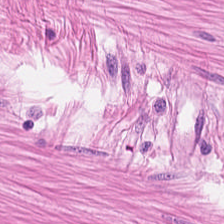Hematoxylin and eosin.
{"tissue_type": "smooth muscle"}
